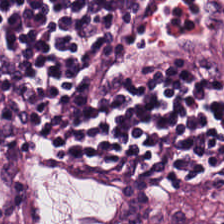20× equivalent magnification · 224×224 pixel tile · hematoxylin and eosin.
Predominant tissue = lymphoid infiltrate.
